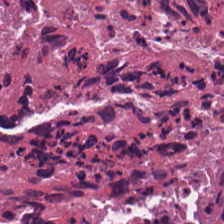Hematoxylin and eosin.
Impression → necrotic debris.
